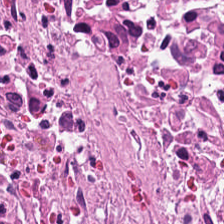Q: What type of tissue is this?
A: Cellular debris.
